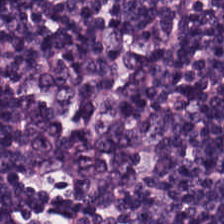224×224 px tile · H&E.
Showing lymphoid infiltrate.
